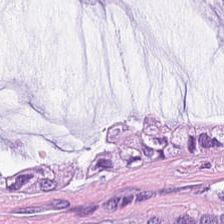Showing mucin.
